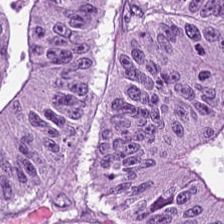H&E stain. Formalin-fixed paraffin-embedded section. WSI patch. This patch shows colorectal adenocarcinoma.
